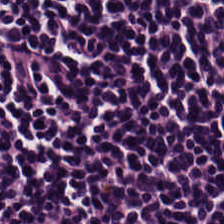224×224 pixel tile · H&E-stained tissue section. Lymphoid infiltrate.
